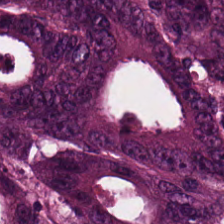H&E stain. Showing colorectal adenocarcinoma.
